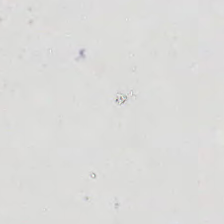H&E · 224×224 px patch.
Content: background (no tissue).
